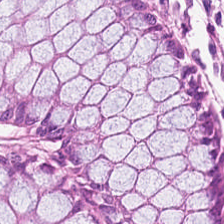FFPE; H&E-stained tissue section; 0.5 µm/px.
Histology → normal colonic mucosa.
